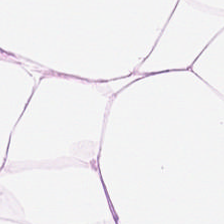H&E. 0.5 µm/px. FFPE tissue section — Showing adipose tissue.
